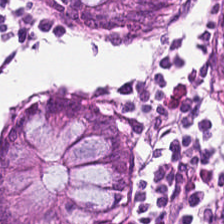Finding — normal colonic mucosa.
